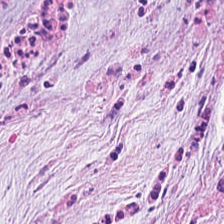H&E-stained tissue section. Impression → tumor-associated stroma.
